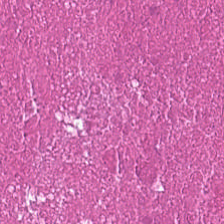Classification = debris.
